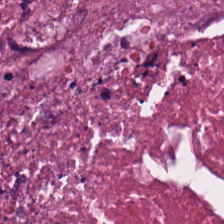Stain: H&E-stained tissue section.
Acquisition: WSI patch.
Classification: debris.
